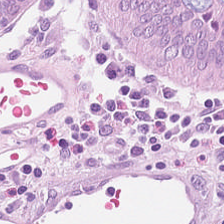Hematoxylin and eosin.
Q: What type of tissue is this?
A: It is non-neoplastic colon mucosa.
